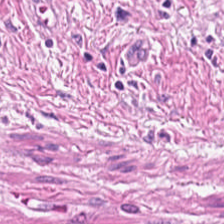Stain: hematoxylin and eosin.
Tissue class: smooth muscle.
